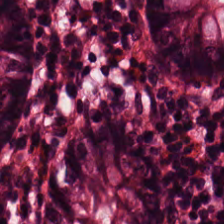H&E stain. This patch shows non-neoplastic colon mucosa.
